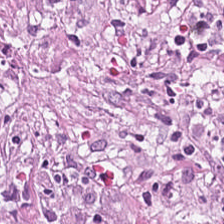H&E-stained tissue section. This field is desmoplastic stroma.
